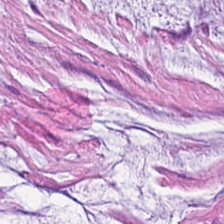224×224 px tile; H&E-stained tissue section — Predominantly mucin.
